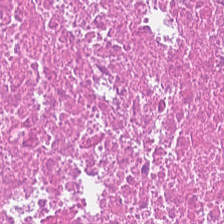This field is cellular debris.
